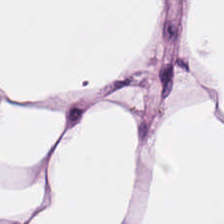Brightfield · H&E. This field is adipose tissue.
